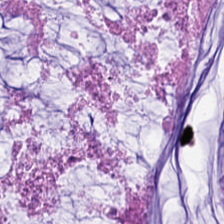Hematoxylin-and-eosin stained section — Classification — mucin.
